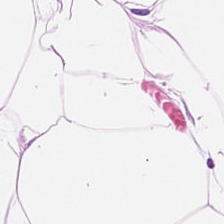H&E-stained tissue section; brightfield.
This field is adipocytes.
